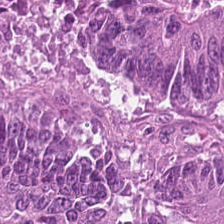Brightfield · hematoxylin-and-eosin stained section.
This patch shows adenocarcinoma.
